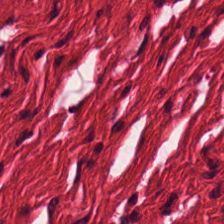Hematoxylin-and-eosin stained section.
Tissue type: smooth muscle.
